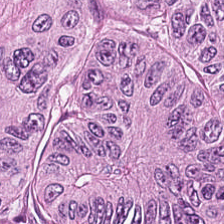H&E-stained section; the field shows colorectal adenocarcinoma epithelium.
